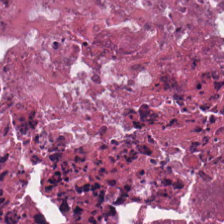Hematoxylin and eosin · brightfield. This field is debris.
